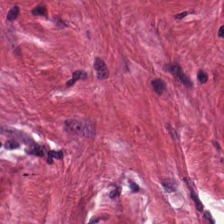Tissue — tumor-associated stroma.
